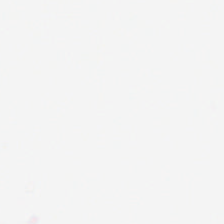This field is background (no tissue).
